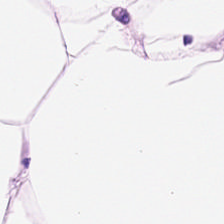The tissue type is adipose.
